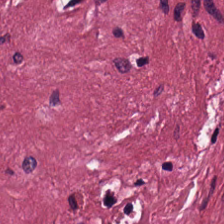Whole-slide-image patch · hematoxylin-and-eosin stained section · 224×224 px patch. Classification = tumor stroma.
